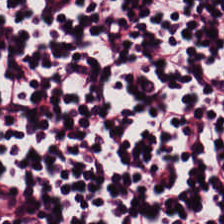H&E-stained tissue section; formalin-fixed paraffin-embedded section; brightfield microscopy. Finding → lymphocytes.
